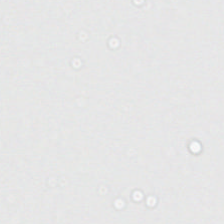224×224 px tile; H&E-stained tissue section. Content: background (no tissue).
